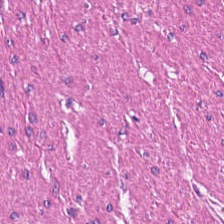Stain: H&E stain.
Resolution: 0.5 µm per pixel.
Tile size: 224×224 pixel tile.
Predominant tissue: smooth-muscle tissue.
